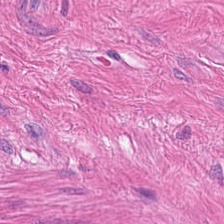20× equivalent magnification · hematoxylin and eosin.
Predominantly smooth muscle.
